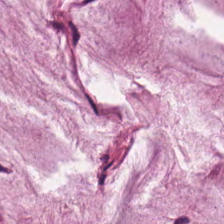Stain: H&E-stained tissue section.
Tissue: extracellular mucin.
